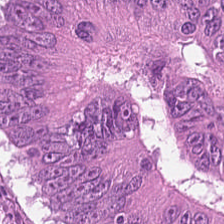H&E; FFPE; 224×224 pixel tile — This patch shows tumor epithelium.
